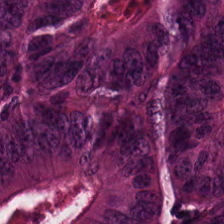H&E. Colorectal adenocarcinoma epithelium.
